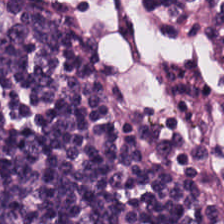H&E-stained tissue section — This patch shows lymphocyte aggregate.
